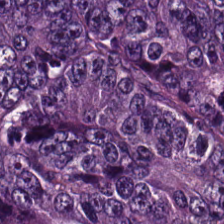Stain: hematoxylin and eosin.
Tissue class: colorectal adenocarcinoma.
